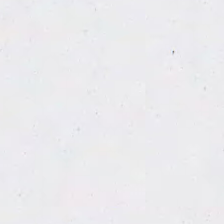Hematoxylin-and-eosin stained section. This field is background (no tissue).
